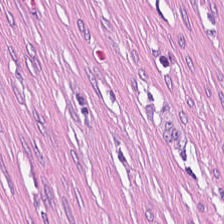FFPE tissue section; 20× equivalent magnification; hematoxylin and eosin. Tissue class — tumor stroma.
